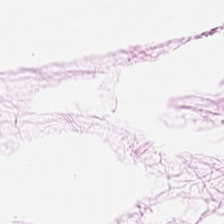H&E-stained tissue section — The classification is adipose tissue.
